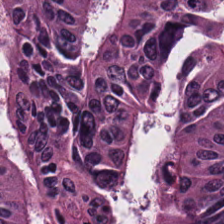224×224 pixel tile · 0.5 microns per pixel · H&E stain — The tissue here is tumor epithelium.
